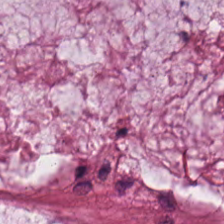Stain: H&E stain.
Predominant tissue: extracellular mucin.
